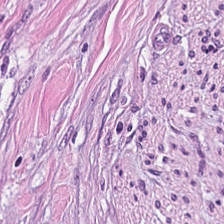H&E.
Tumor stroma.
